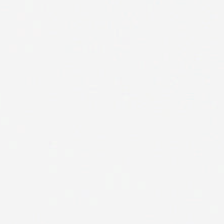Q: What is shown here?
A: This is no tissue.
